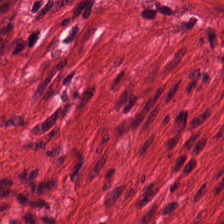H&E stain. Tissue type: smooth-muscle tissue.
